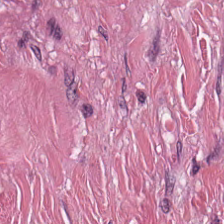The tissue here is tumor-associated stroma.
